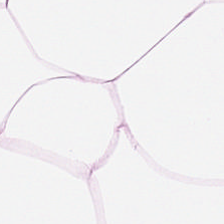Showing adipose.
